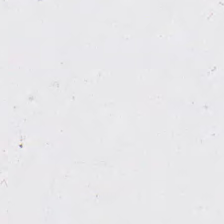Stain: H&E stain.
Field content: background (no tissue).
